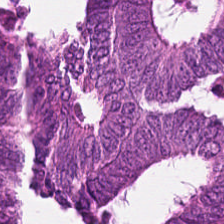Q: What is shown in this field?
A: Adenocarcinoma.
